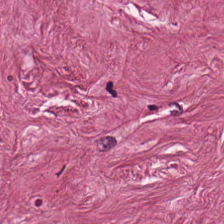H&E patch showing tumor-associated stroma.
